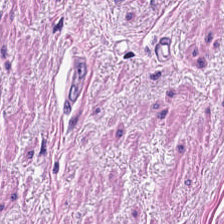Stain: hematoxylin-and-eosin stained section.
Preparation: formalin-fixed paraffin-embedded section.
Tile size: 224×224 px tile.
Classification: smooth muscle.
